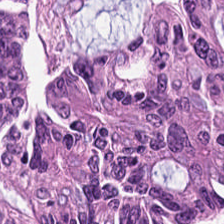H&E-stained tissue section; formalin-fixed paraffin-embedded section.
This patch shows tumor epithelium.
